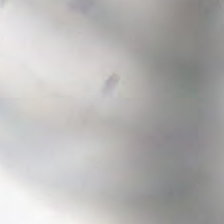Stain: H&E stain.
Tile size: 224×224 px tile.
Preparation: FFPE tissue section.
Classification: background.
